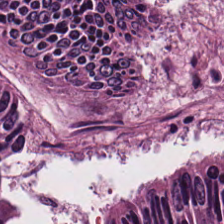H&E — Impression — colorectal adenocarcinoma epithelium.
